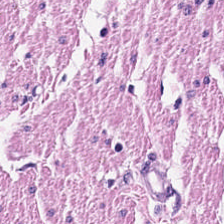Finding — smooth-muscle tissue.
